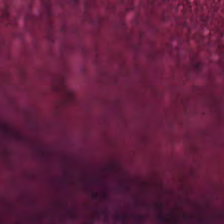H&E-stained tissue section.
The predominant tissue is debris.
